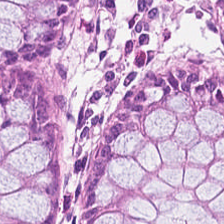Hematoxylin-and-eosin stained section.
Q: What is shown here?
A: The field shows non-neoplastic colon mucosa.
